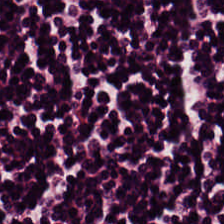H&E stain — Showing lymphocytic infiltrate.
